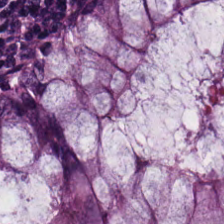Formalin-fixed paraffin-embedded section. H&E stain — Tissue: normal colon mucosa.
